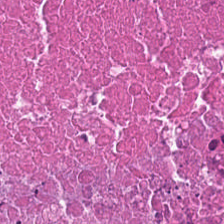Tissue class — necrotic debris.
